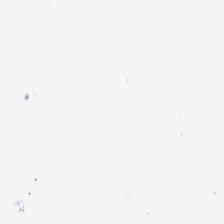Hematoxylin-and-eosin stained section; 224×224 px patch.
No tissue present; background only.
